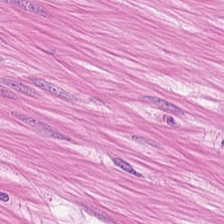WSI patch. H&E stain. This field is muscularis.
